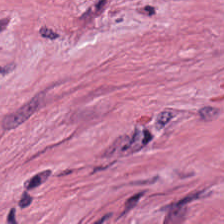Stain: hematoxylin and eosin.
Resolution: 0.5 µm/px.
Classification: desmoplastic stroma.
